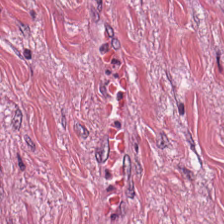Hematoxylin-and-eosin stained section.
Tissue type = cancer-associated stroma.
